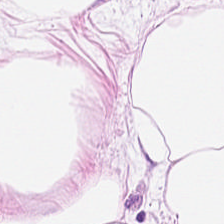0.5 µm/px. H&E-stained tissue section. 224×224 pixel tile.
Tissue = adipose.
